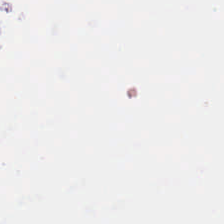H&E-stained tissue section. Classification = empty background.
